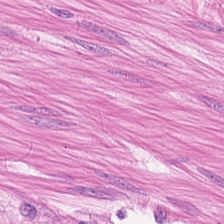0.5 microns per pixel; H&E stain. Impression → smooth muscle.
